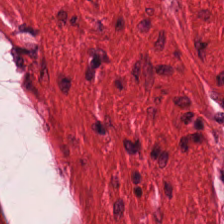Hematoxylin-and-eosin stained section; 0.5 microns per pixel; FFPE.
This patch shows smooth muscle.
